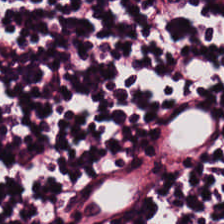Tissue = lymphocyte aggregate.
